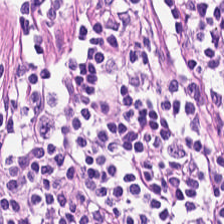{"tissue_type": "lymphocytic infiltrate"}
